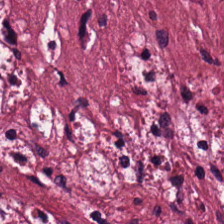H&E stain. Q: What is the predominant tissue type?
A: Desmoplastic stroma.
